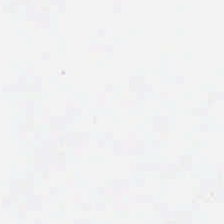H&E stain — Q: What is shown here?
A: The field shows background.
